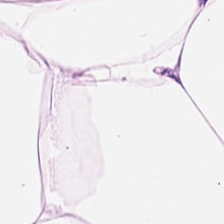Hematoxylin-and-eosin stained section. Predominantly adipose.
